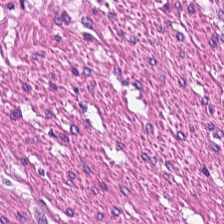H&E stain. Impression → smooth-muscle tissue.
